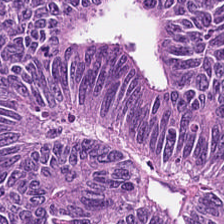H&E. Impression — adenocarcinoma.
